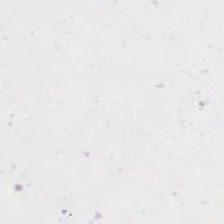Content: background (no tissue).
